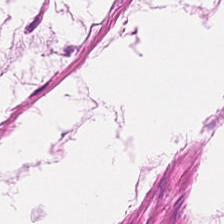Formalin-fixed paraffin-embedded section; H&E stain; 224×224 pixel tile. Predominantly smooth-muscle tissue.
